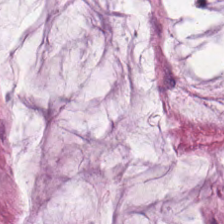FFPE tissue section; H&E; whole-slide-image patch. Impression → mucus.
